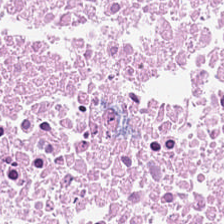Hematoxylin-and-eosin stained section. Tissue class: necrotic debris.
